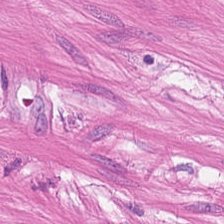This field is smooth-muscle tissue.
